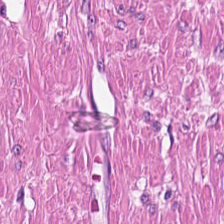Stain: H&E stain.
Preparation: formalin-fixed paraffin-embedded section.
Tissue: smooth muscle.
